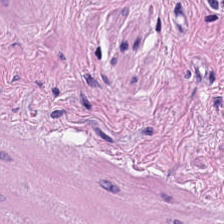20× equivalent magnification · H&E-stained tissue section. Smooth muscle.
